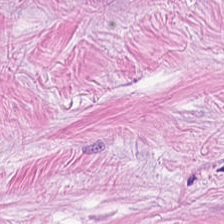Stain: H&E stain.
Predominant tissue: desmoplastic stroma.
